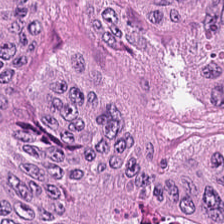H&E.
Q: What is shown here?
A: Malignant epithelium.
